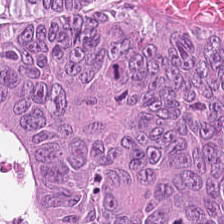This field is tumor epithelium.
